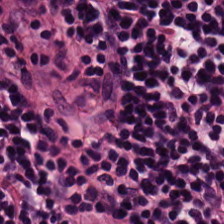H&E stain.
This field is lymphocytic infiltrate.
